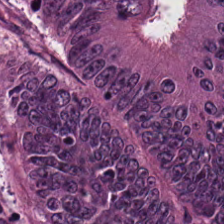0.5 µm/px. Hematoxylin-and-eosin stained section. The classification is adenocarcinoma.
